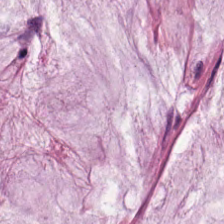Predominantly mucus.
